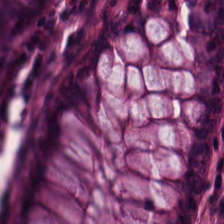{"tissue_type": "non-neoplastic colon mucosa"}
